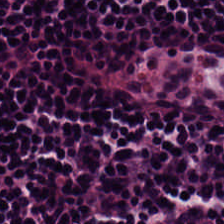Brightfield microscopy; 0.5 microns per pixel; H&E stain — Q: What is shown here?
A: This is lymphocytic infiltrate.
